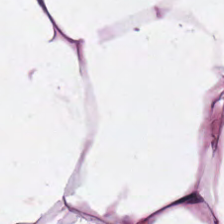Hematoxylin-and-eosin section: adipose.
